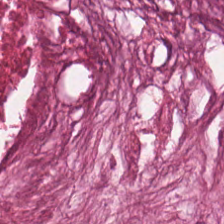Hematoxylin-and-eosin stained section. Brightfield microscopy. Finding — cellular debris.
